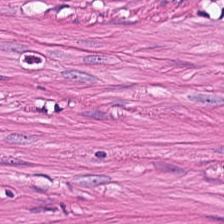H&E.
Finding — smooth-muscle tissue.
